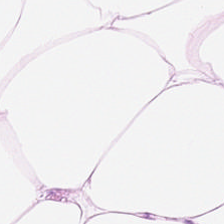Impression → adipose.
